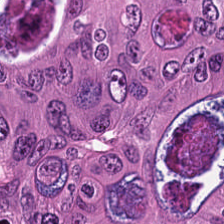Stain: hematoxylin-and-eosin stained section.
Tissue: adenocarcinoma.
